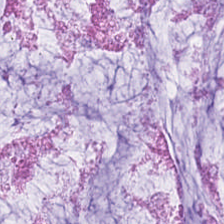Stain: H&E stain.
Resolution: 0.5 µm per pixel.
Tile size: 224×224 pixel tile.
Classification: extracellular mucin.
